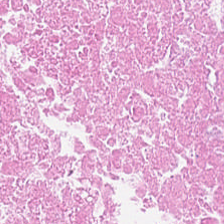H&E stain · 0.5 µm per pixel. Tissue type — debris.
